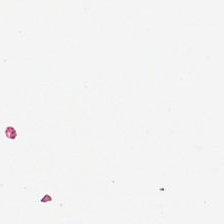WSI patch. H&E stain — The classification is background.
